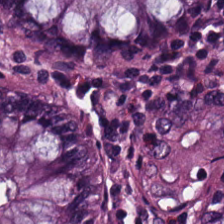Hematoxylin-and-eosin stained section. The predominant tissue is normal colonic mucosa.
